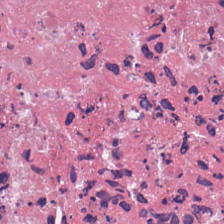H&E-stained tissue section. Cellular debris.
